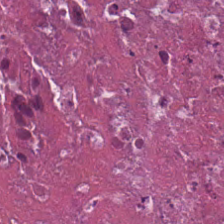Formalin-fixed paraffin-embedded section. H&E-stained tissue section — Classification — cellular debris.
